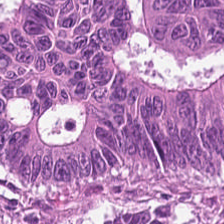This field is tumor epithelium.
